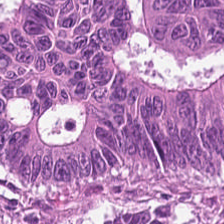This field is tumor epithelium.
